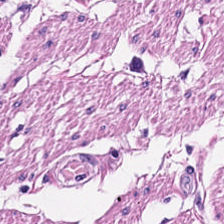Predominantly smooth-muscle tissue.
